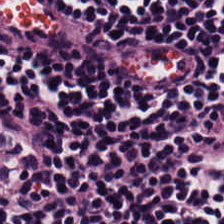Stain: H&E-stained tissue section.
Tile size: 224×224 px tile.
Tissue: lymphocyte aggregate.
